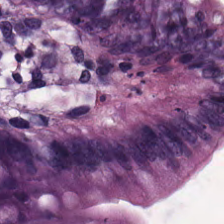H&E. Brightfield microscopy.
The tissue class is non-neoplastic colon mucosa.
